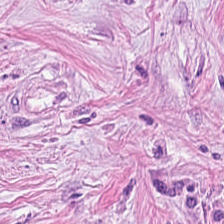H&E-stained tissue section · whole-slide-image patch — Tissue: desmoplastic stroma.
